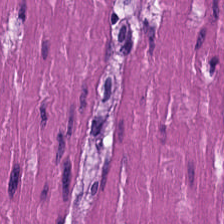H&E-stained tissue section. WSI patch. Formalin-fixed paraffin-embedded section — The predominant tissue is muscularis.
